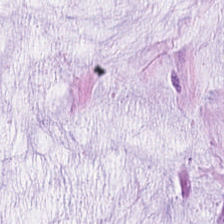0.5 µm per pixel; H&E-stained tissue section — Showing mucus.
